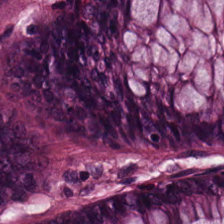FFPE. Hematoxylin-and-eosin stained section. Whole-slide-image patch. Classification — benign colonic mucosa.
